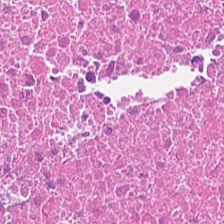224×224 px patch · hematoxylin-and-eosin stained section.
Q: What is the predominant tissue type?
A: It is cellular debris.
